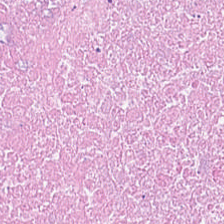H&E stain.
Classification: necrotic debris.
